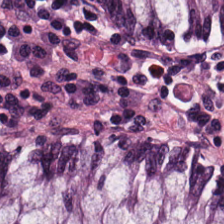The tissue is non-neoplastic colon mucosa.
